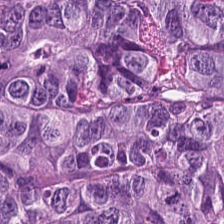H&E-stained tissue section — Predominantly adenocarcinoma.
